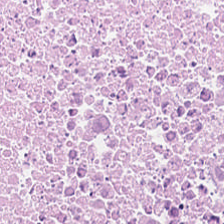Hematoxylin and eosin; brightfield microscopy. Necrotic debris.
